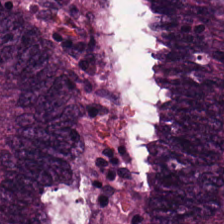H&E-stained tissue section — Q: What is shown here?
A: It is colorectal adenocarcinoma.
